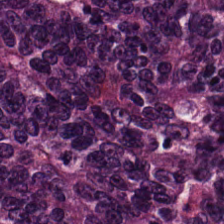H&E-stained tissue section. Tissue type = colorectal adenocarcinoma.
